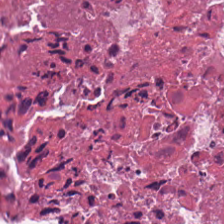Stain: H&E stain.
Preparation: FFPE tissue section.
Tissue class: cellular debris.
